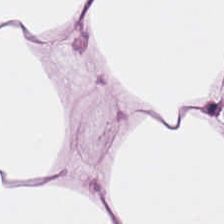Hematoxylin-and-eosin stained section. {"tissue_type": "adipose"}
